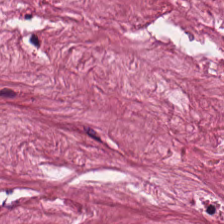H&E-stained tissue section showing tumor-associated stroma.
